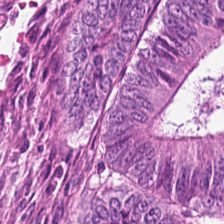FFPE tissue section · H&E.
Tissue class = colorectal adenocarcinoma epithelium.
